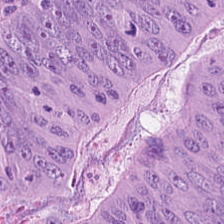Whole-slide-image patch. Hematoxylin-and-eosin stained section. 224×224 px patch. This field is colorectal adenocarcinoma epithelium.
